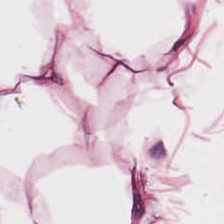Hematoxylin-and-eosin stained section · 0.5 µm/px.
This field is fat tissue.
